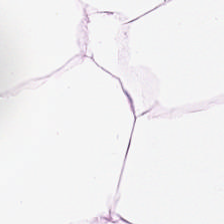Predominantly fat tissue.
